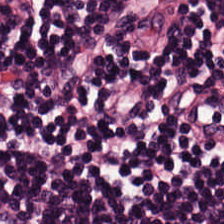20× equivalent magnification; hematoxylin and eosin — Predominantly lymphocytes.
